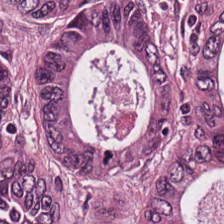Tissue type — malignant epithelium.
